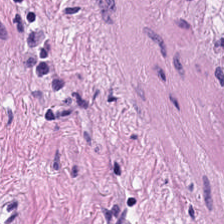Hematoxylin and eosin. Tissue type = smooth muscle.
